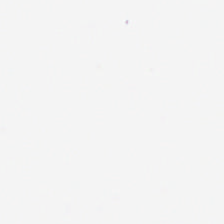H&E stain.
Background — no tissue in this field.
